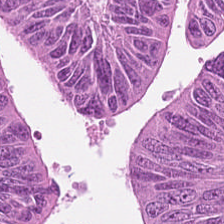0.5 µm/px. H&E. 224×224 px patch. This field is tumor epithelium.
